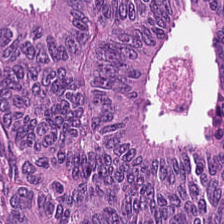H&E-stained tissue section; 224×224 px tile. Q: What type of tissue is this?
A: The field shows colorectal adenocarcinoma.
